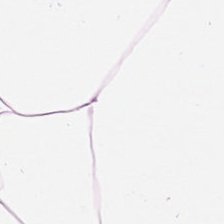Tissue class = adipose.
